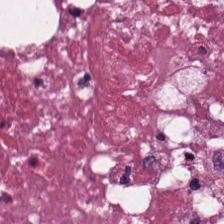Hematoxylin-and-eosin stained section.
This field is necrotic debris.
